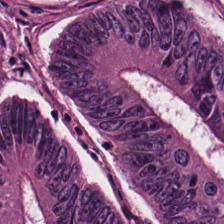H&E. Predominantly tumor epithelium.
